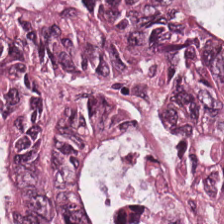{"tissue_type": "colorectal adenocarcinoma epithelium"}
